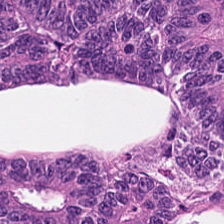Hematoxylin and eosin.
Tissue — colorectal adenocarcinoma epithelium.
